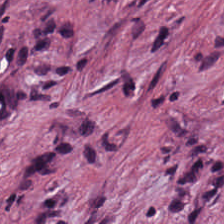H&E — The predominant tissue is tumor-associated stroma.
